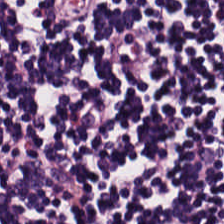H&E. 0.5 microns per pixel.
Tissue = lymphocytes.
